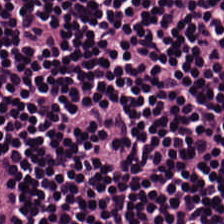H&E stain · brightfield · FFPE tissue section. Tissue class: lymphocytes.
